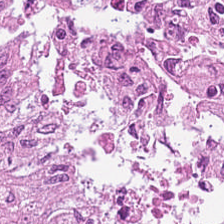H&E patch showing tumor epithelium.
